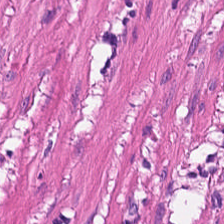H&E — Predominantly smooth-muscle tissue.
